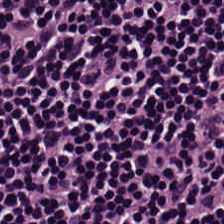Predominantly lymphocyte aggregate.
